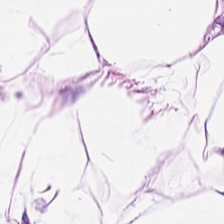H&E stain — Tissue class = fat tissue.
